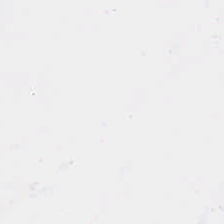Stain: H&E.
Preparation: FFPE tissue section.
Content: no tissue.
